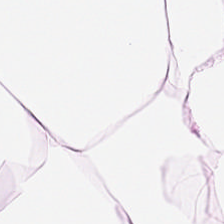0.5 µm/px; hematoxylin and eosin. This field is adipose tissue.
